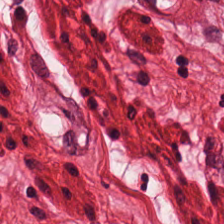0.5 µm per pixel. FFPE. H&E — This field is smooth muscle.
